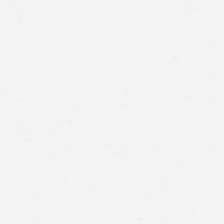H&E-stained tissue section · brightfield · formalin-fixed paraffin-embedded section — Q: What is shown here?
A: The field shows empty background.
